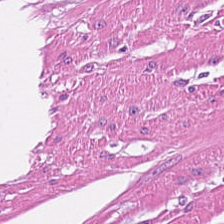Stain: H&E-stained tissue section.
Tissue class: smooth muscle.
